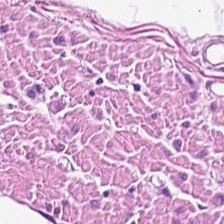Predominantly smooth-muscle tissue.
